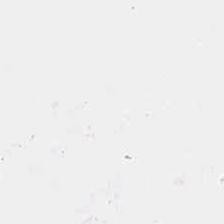FFPE · brightfield · hematoxylin and eosin. Content — background.
